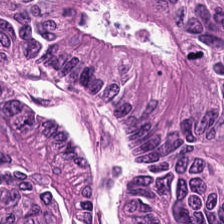H&E; 0.5 microns per pixel — This field is tumor epithelium.
